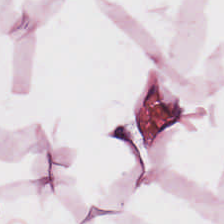Brightfield microscopy. H&E. FFPE tissue section.
{"tissue_type": "adipocytes"}
